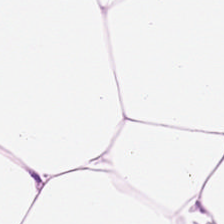H&E — Tissue — adipose.
